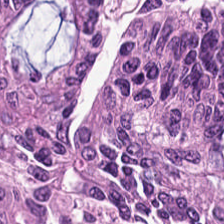Stain: H&E.
Predominant tissue: tumor epithelium.
